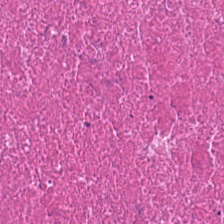H&E stain. The tissue type is debris.
